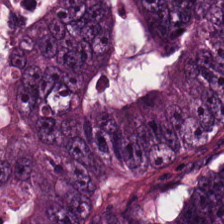Brightfield microscopy · H&E stain.
Predominant tissue = colorectal adenocarcinoma.
